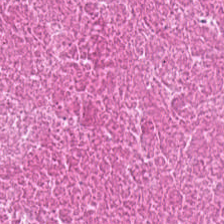0.5 µm/px; H&E.
Predominant tissue: debris.
